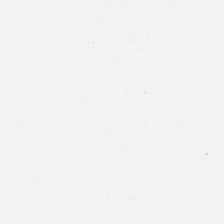Finding — empty background.
